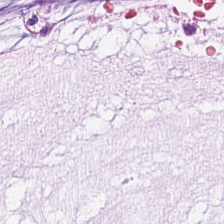Hematoxylin-and-eosin stained section. This field is mucin.
